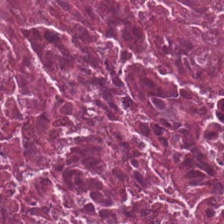Hematoxylin and eosin. 224×224 pixel tile. Brightfield. Showing necrotic debris.
